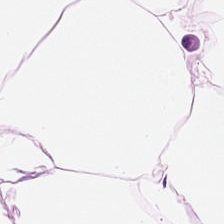H&E stain.
Showing adipose.
